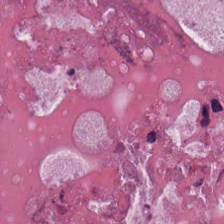H&E-stained tissue section · formalin-fixed paraffin-embedded section.
This patch shows necrotic debris.
